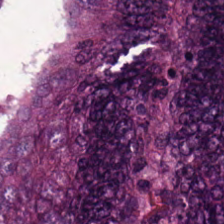Hematoxylin-and-eosin stained section. {"tissue_type": "tumor epithelium"}
